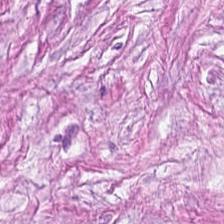Hematoxylin and eosin. 0.5 microns per pixel. This field is tumor stroma.
